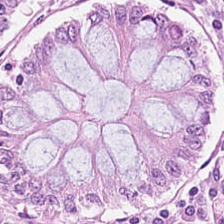Predominant tissue: normal colon mucosa.
